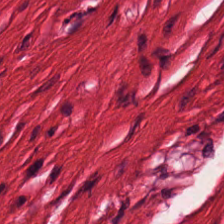H&E-stained tissue section. {"tissue_type": "muscularis"}
